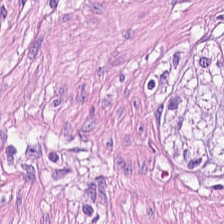H&E. FFPE.
This field is smooth-muscle tissue.
